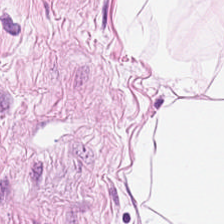Hematoxylin-and-eosin stained section. This field is adipose.
